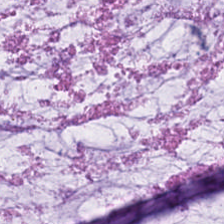H&E.
Predominant tissue = extracellular mucin.
